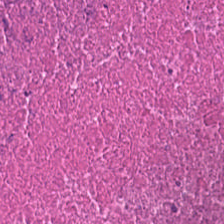Formalin-fixed paraffin-embedded section · 224×224 px tile · hematoxylin-and-eosin stained section — Q: What tissue type is shown here?
A: This is debris.
